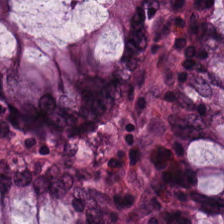Hematoxylin and eosin. {"tissue_type": "normal colon mucosa"}
